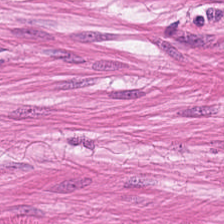H&E-stained tissue section. Finding — muscularis.
